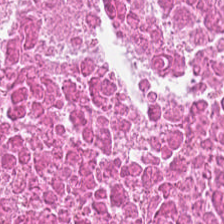H&E-stained tissue section — Impression → necrotic debris.
